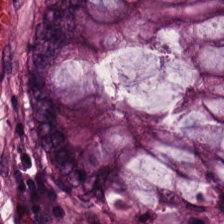224×224 pixel tile; hematoxylin and eosin — This field is non-neoplastic colon mucosa.
